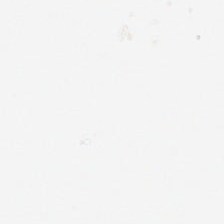Hematoxylin and eosin. FFPE tissue section. 0.5 microns per pixel.
{"content": "background"}
